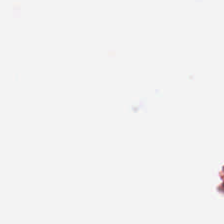H&E.
Content = background.
